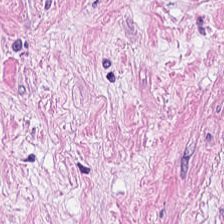Histology → desmoplastic stroma.
